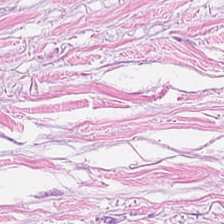H&E-stained tissue section. Classification = tumor stroma.
